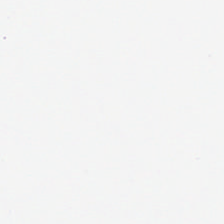0.5 µm per pixel · hematoxylin-and-eosin stained section. Content = background (no tissue).
